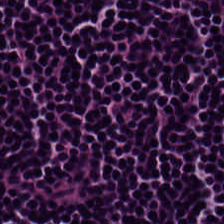This field is lymphocytes.
